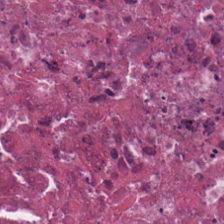The tissue type is necrotic debris.
